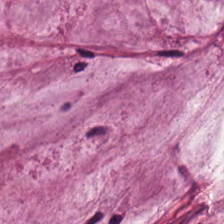Hematoxylin-and-eosin stained section.
Showing mucin.
